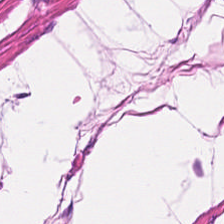This field is smooth muscle.
